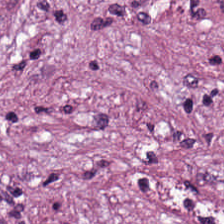{"tissue_type": "desmoplastic stroma"}
